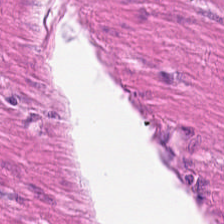H&E-stained tissue section — This field is smooth muscle.
